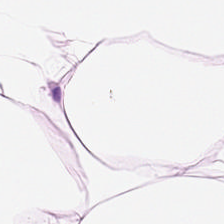H&E stain. Classification: adipose.
